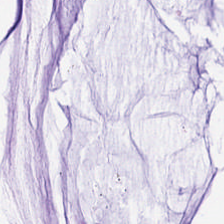Finding → mucin.
